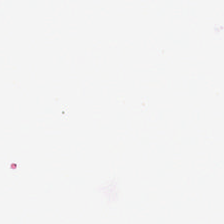H&E — This field is background (no tissue).
